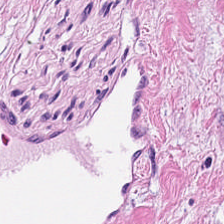H&E. Q: What is the predominant tissue type?
A: This is tumor-associated stroma.
